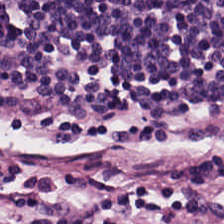Brightfield microscopy · H&E. This patch shows lymphocyte aggregate.
